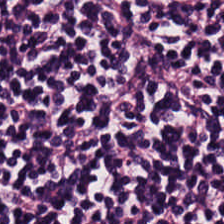FFPE · H&E-stained tissue section — This patch shows lymphocytes.
